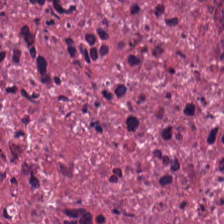Hematoxylin and eosin; 0.5 µm/px; WSI patch. The predominant tissue is debris.
